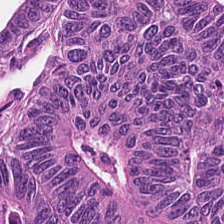224×224 px patch. Hematoxylin-and-eosin stained section — Q: What type of tissue is this?
A: This is adenocarcinoma.
